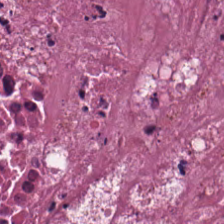Q: What is the predominant tissue type?
A: It is debris.
